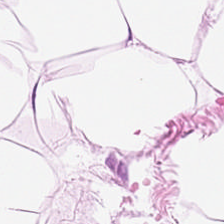0.5 microns per pixel. Hematoxylin and eosin. Finding — adipocytes.
